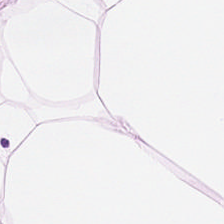H&E-stained tissue section.
Predominant tissue: fat tissue.
